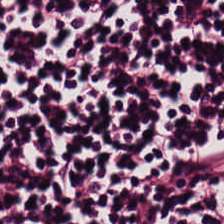{"tissue_type": "lymphocytes"}
